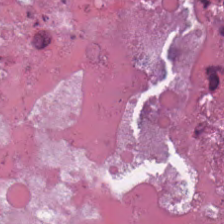H&E-stained tissue section. 20× equivalent magnification. Tissue type = necrotic debris.
